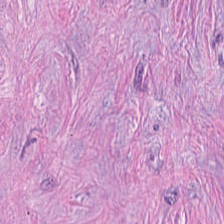Whole-slide-image patch · hematoxylin-and-eosin stained section.
The predominant tissue is tumor stroma.
